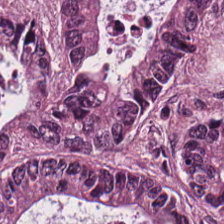H&E-stained tissue section.
The tissue class is tumor epithelium.
